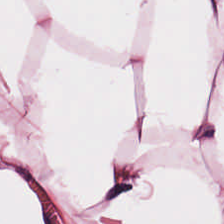Hematoxylin-and-eosin stained section; 224×224 px tile.
Classification — fat tissue.
